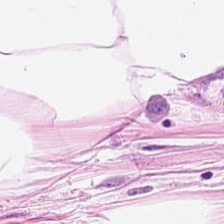This field is adipose tissue.
